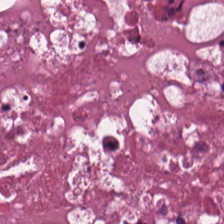Hematoxylin and eosin — Q: What tissue type is shown here?
A: It is cellular debris.
